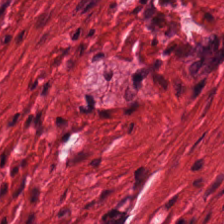Hematoxylin-and-eosin stained section; whole-slide-image patch. Histology → smooth muscle.
